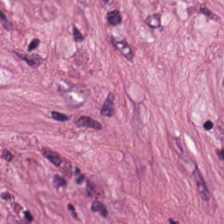Tissue class: desmoplastic stroma.
